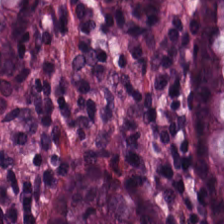Stain: hematoxylin-and-eosin stained section.
Classification: non-neoplastic colon mucosa.
